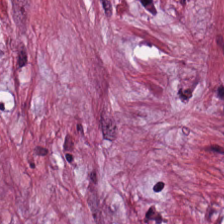Stain: H&E stain.
Tissue: desmoplastic stroma.
